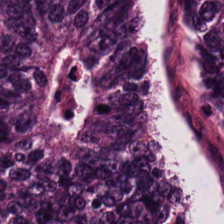H&E — tumor epithelium.
